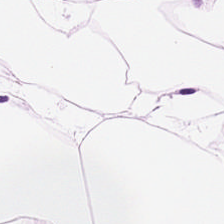Hematoxylin and eosin. Tissue: fat tissue.
